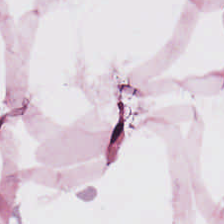H&E stain — Finding — adipose.
